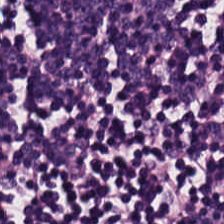Brightfield; hematoxylin-and-eosin stained section; FFPE tissue section.
{"tissue_type": "lymphocytes"}
